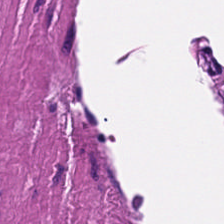H&E. Tissue class = muscularis.
